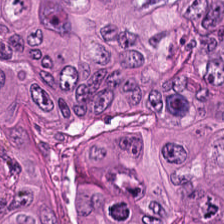H&E.
The classification is malignant epithelium.
